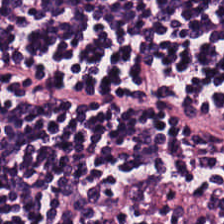H&E. Whole-slide-image patch. 20× equivalent magnification — Lymphocyte aggregate.
